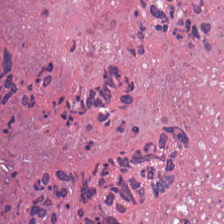H&E-stained tissue section showing cellular debris.
